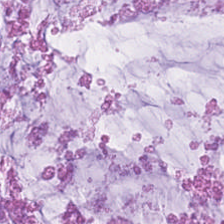224×224 px patch. H&E-stained tissue section. Impression → mucus.
